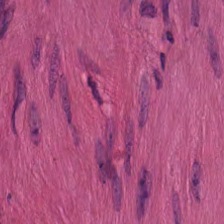H&E — smooth-muscle tissue.
